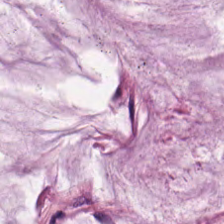{"tissue_type": "mucus"}
